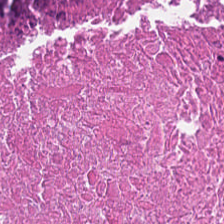Hematoxylin and eosin · 224×224 pixel tile — {"tissue_type": "cellular debris"}
